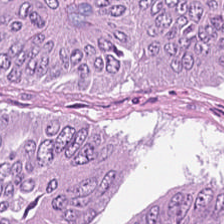Stain: H&E.
Tissue class: adenocarcinoma.
